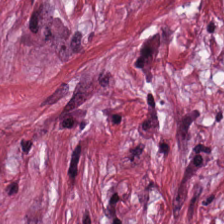0.5 µm/px; H&E. Tissue class: cancer-associated stroma.
